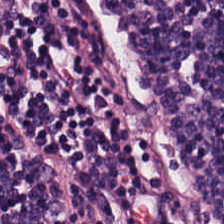Stain: hematoxylin-and-eosin stained section.
Tissue class: lymphocyte aggregate.
